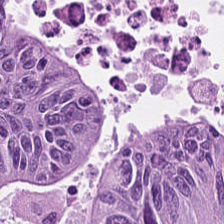H&E. 20× equivalent magnification.
Q: What type of tissue is this?
A: The field shows malignant epithelium.
